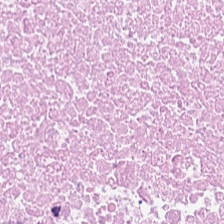H&E — necrotic debris.
